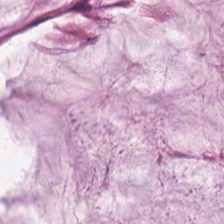Q: What does this patch show?
A: It is extracellular mucin.
